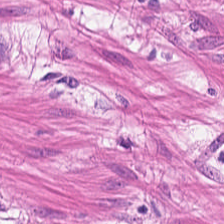Predominantly smooth muscle.
